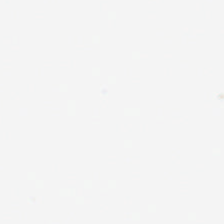Stain: hematoxylin and eosin.
Content: background.
